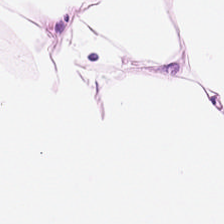H&E. Brightfield. 224×224 pixel tile — Classification: adipocytes.
